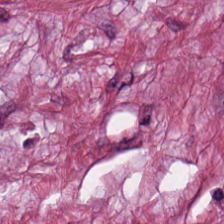H&E stain. Q: What does this patch show?
A: Desmoplastic stroma.
